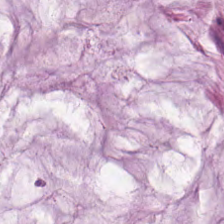Hematoxylin and eosin. {"tissue_type": "mucin"}
